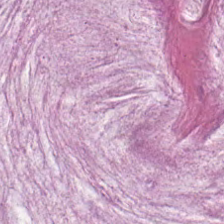H&E stain; FFPE tissue section; 224×224 px patch — Tissue type: mucin.
